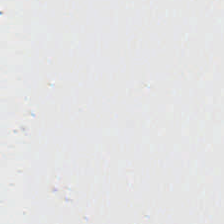Stain: H&E stain.
Content: empty background.
